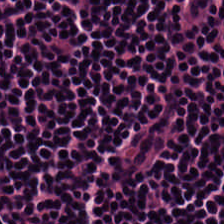224×224 pixel tile · hematoxylin-and-eosin stained section · FFPE tissue section.
This patch shows lymphocyte aggregate.
